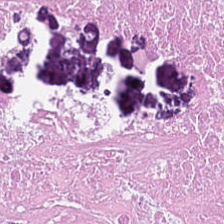The predominant tissue is necrotic debris.
